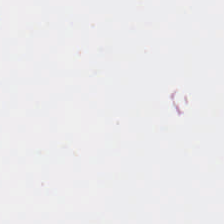H&E. Formalin-fixed paraffin-embedded section — Classification = background.
